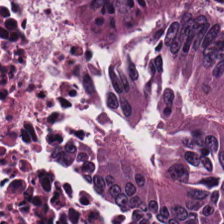Tissue — colorectal adenocarcinoma epithelium.
